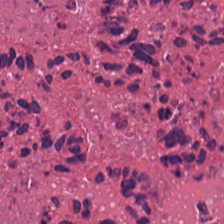H&E stain — {"tissue_type": "cellular debris"}
